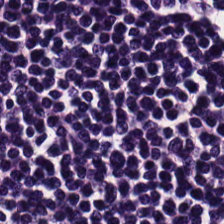Histology — lymphocyte aggregate.
